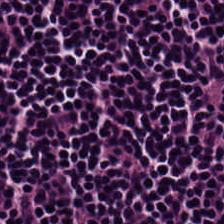Whole-slide-image patch; hematoxylin-and-eosin stained section — Impression → lymphoid infiltrate.
